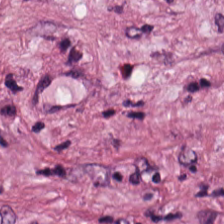Stain: H&E.
Classification: tumor-associated stroma.
